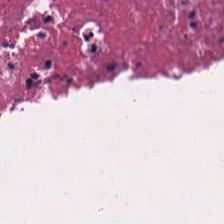0.5 µm/px; hematoxylin and eosin; WSI patch.
The tissue here is debris.
